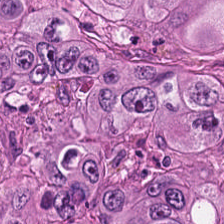0.5 µm per pixel · formalin-fixed paraffin-embedded section · hematoxylin and eosin. Q: What is the predominant tissue type?
A: It is tumor epithelium.
